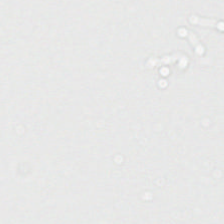Stain: H&E.
Content: background.
